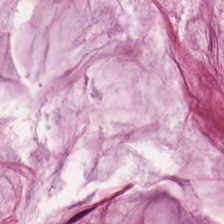Q: What is shown here?
A: It is mucin.
